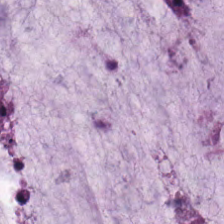Q: What does this patch show?
A: The field shows extracellular mucin.
